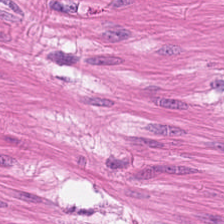Stain: H&E-stained tissue section.
Preparation: FFPE.
Tissue type: muscularis.
